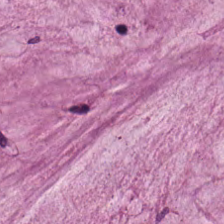{"tissue_type": "extracellular mucin"}
